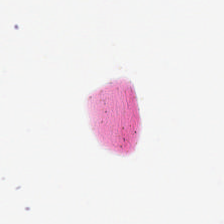No tissue present; background only.
